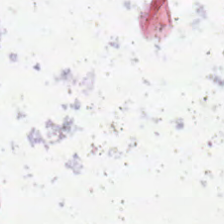0.5 microns per pixel · brightfield microscopy · H&E. Field content: no tissue.
